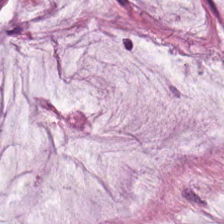FFPE tissue section · 224×224 px tile · H&E stain. The predominant tissue is extracellular mucin.
